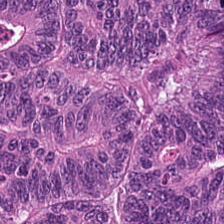WSI patch · H&E stain · 224×224 px tile — Finding → malignant epithelium.
